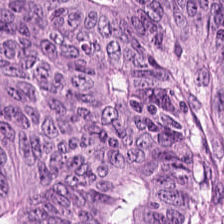Hematoxylin and eosin.
Predominant tissue: malignant epithelium.
